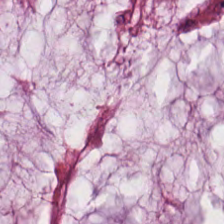Hematoxylin and eosin.
The tissue here is mucus.
